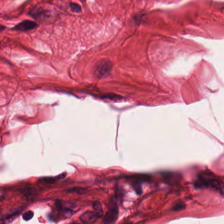H&E patch showing smooth muscle.
